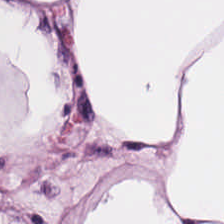FFPE tissue section. 224×224 px patch. Hematoxylin-and-eosin stained section. Tissue class = adipose tissue.
